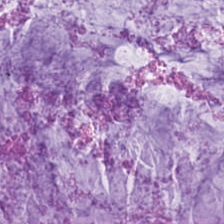H&E patch showing mucus.
